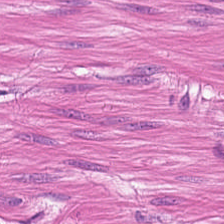Hematoxylin-and-eosin stained section — Q: What type of tissue is this?
A: It is muscularis.
